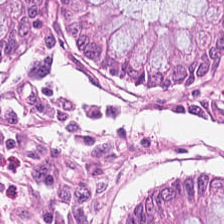Showing normal colon mucosa.
